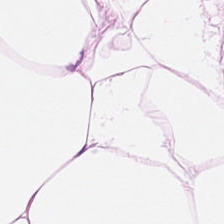Tissue class: adipose.
